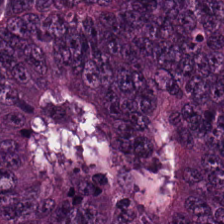0.5 µm/px. Hematoxylin and eosin. Predominantly tumor epithelium.
